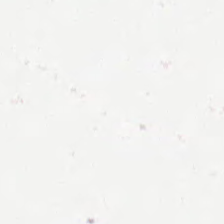Background — no tissue in this field.
